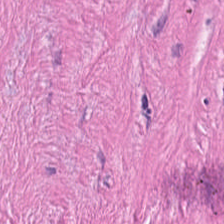Hematoxylin-and-eosin stained section. 224×224 px tile — Histology → cancer-associated stroma.
